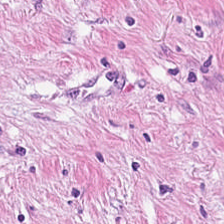Stain: H&E stain.
Tissue class: tumor stroma.
